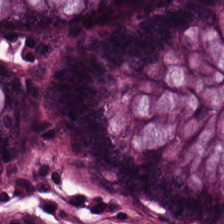Normal colonic mucosa.
